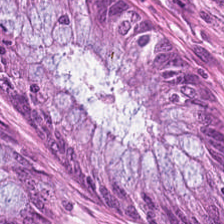H&E stain · FFPE — Non-neoplastic colon mucosa.
